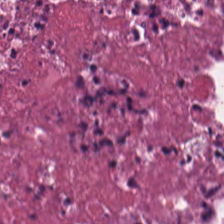0.5 µm/px. H&E stain. Tissue class — debris.
